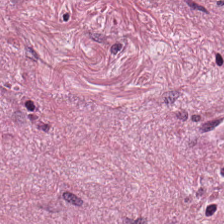Classification — tumor-associated stroma.
